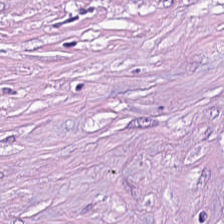Stain: hematoxylin-and-eosin stained section.
Tissue: cancer-associated stroma.
